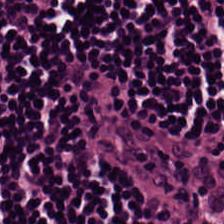The tissue type is lymphocyte aggregate.
